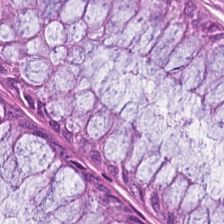Brightfield · hematoxylin and eosin · FFPE.
Classification — benign colonic mucosa.
